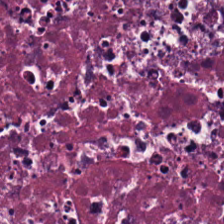Hematoxylin-and-eosin stained section — Finding — necrotic debris.
